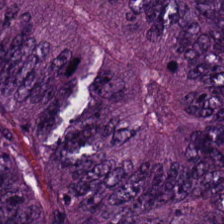Tissue type = adenocarcinoma.
